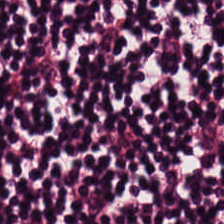Finding — lymphocytic infiltrate.
